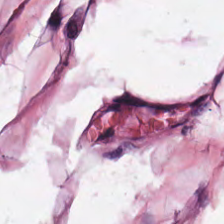Stain: hematoxylin and eosin.
Tissue class: adipose tissue.
